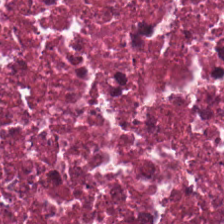H&E stain. Q: What type of tissue is this?
A: It is necrotic debris.
